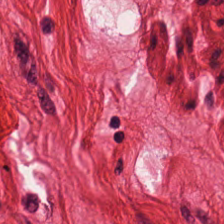20× equivalent magnification. Hematoxylin and eosin. 224×224 px tile — Q: What is shown in this field?
A: Smooth-muscle tissue.
